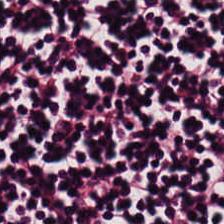Hematoxylin and eosin. The tissue here is lymphocyte aggregate.
